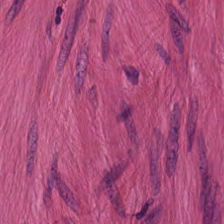H&E.
Tissue type: smooth muscle.
